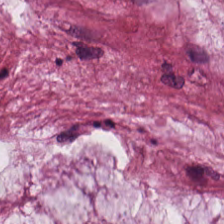Hematoxylin and eosin. 0.5 microns per pixel. 224×224 pixel tile. The tissue class is mucus.
